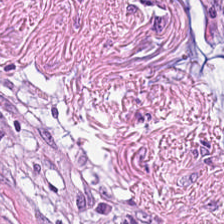H&E-stained tissue section. Classification: cancer-associated stroma.
